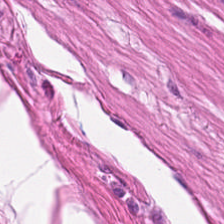H&E. Finding — smooth-muscle tissue.
